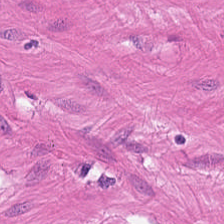Hematoxylin and eosin — The predominant tissue is smooth-muscle tissue.
